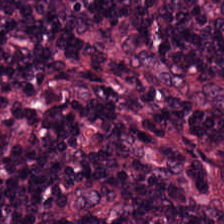H&E-stained tissue section.
Tissue — lymphocytes.
